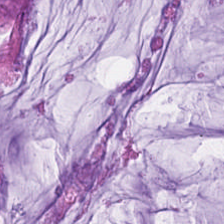224×224 pixel tile. Formalin-fixed paraffin-embedded section. Hematoxylin and eosin.
Classification: mucus.
